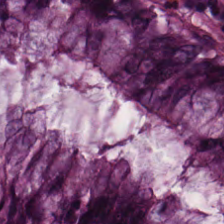Hematoxylin-and-eosin stained section. Tissue type: benign colonic mucosa.
